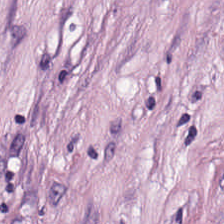Hematoxylin and eosin. Tissue — tumor stroma.
